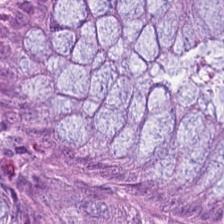Predominantly normal colonic mucosa.
